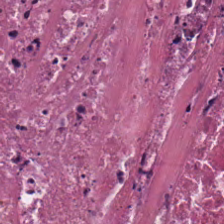Tissue class: cellular debris.
